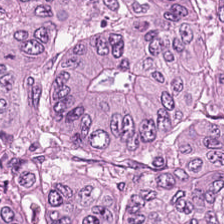Stain: hematoxylin and eosin.
Resolution: 0.5 microns per pixel.
Acquisition: brightfield.
Tissue: malignant epithelium.
